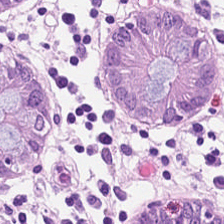Stain: H&E.
Acquisition: WSI patch.
Preparation: FFPE.
Classification: normal colonic mucosa.
